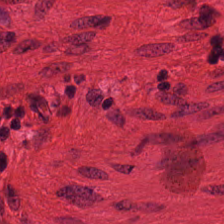224×224 px tile. Hematoxylin-and-eosin stained section. Classification = smooth muscle.
